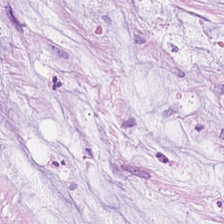H&E stain.
Tissue type — mucin.
